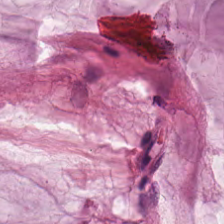Hematoxylin-and-eosin section: mucus.
